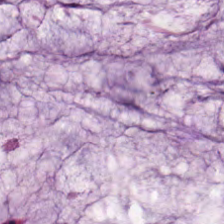H&E. 0.5 µm/px — Q: What is the predominant tissue type?
A: It is mucin.
